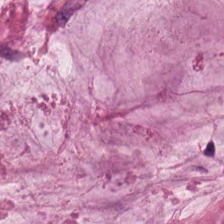Tissue class: extracellular mucin.
